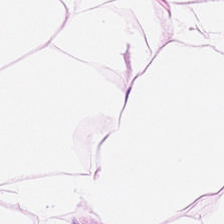Brightfield microscopy · formalin-fixed paraffin-embedded section · hematoxylin and eosin.
Impression → adipose tissue.
